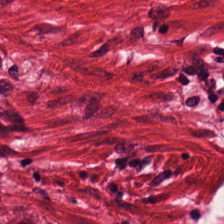H&E stain.
Predominant tissue = smooth-muscle tissue.
